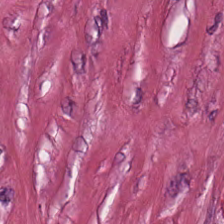{"tissue_type": "cancer-associated stroma"}
